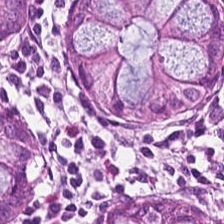224×224 pixel tile; H&E-stained tissue section; 20× equivalent magnification — The tissue is benign colonic mucosa.
